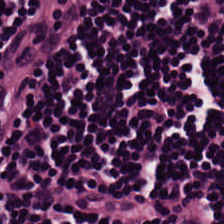H&E — Predominantly lymphocyte aggregate.
